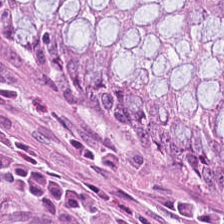224×224 pixel tile · FFPE · H&E-stained tissue section.
{"tissue_type": "normal colon mucosa"}
